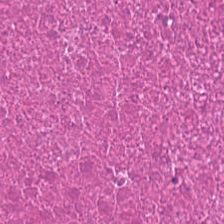Hematoxylin-and-eosin stained section — Showing necrotic debris.
